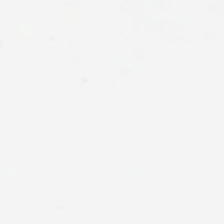FFPE tissue section · brightfield · H&E stain — Finding — background (no tissue).
